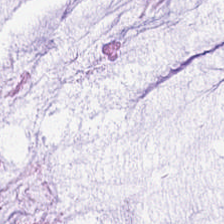Stain: H&E stain.
Tile size: 224×224 px tile.
Predominant tissue: extracellular mucin.
